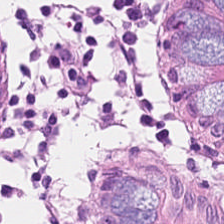Hematoxylin-and-eosin stained section. This patch shows non-neoplastic colon mucosa.
